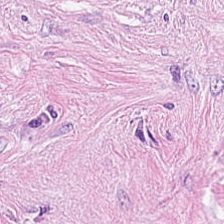Predominantly desmoplastic stroma.
